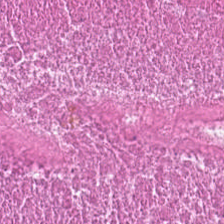Hematoxylin-and-eosin stained section. Tissue class: necrotic debris.
